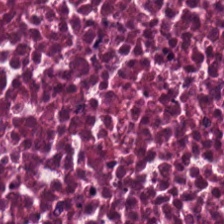Stain: H&E stain.
Predominant tissue: necrotic debris.
